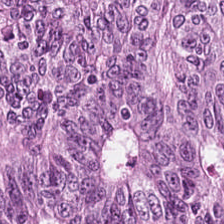H&E-stained tissue section. Q: Identify the tissue.
A: Colorectal adenocarcinoma epithelium.
